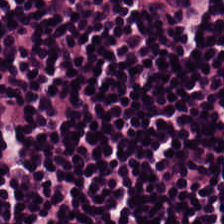Hematoxylin-and-eosin stained section.
Showing lymphocyte aggregate.
